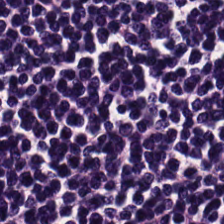Hematoxylin and eosin; brightfield microscopy. Predominantly lymphocytes.
